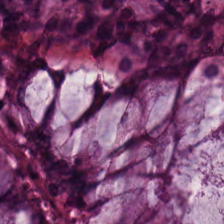{"tissue_type": "non-neoplastic colon mucosa"}
